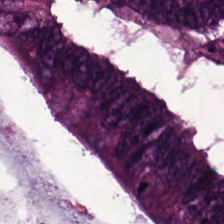Stain: H&E-stained tissue section.
Acquisition: WSI patch.
Tile size: 224×224 pixel tile.
Classification: adenocarcinoma.
